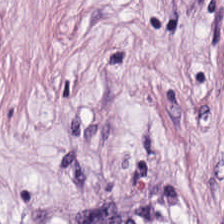H&E patch showing tumor stroma.
